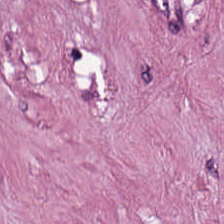H&E. Tissue type = tumor-associated stroma.
